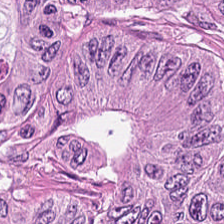Q: Identify the tissue.
A: This is adenocarcinoma.
